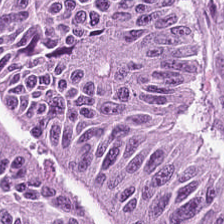Stain: H&E.
Classification: adenocarcinoma.
